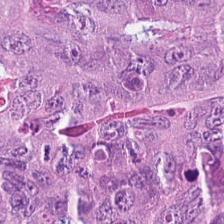Q: What tissue is shown?
A: The field shows colorectal adenocarcinoma.
